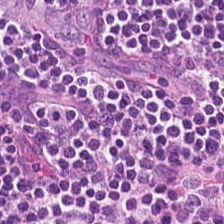H&E-stained tissue section. 224×224 pixel tile.
This patch shows lymphoid infiltrate.
